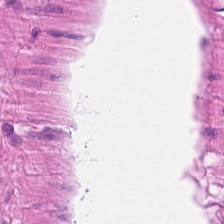H&E · 224×224 px tile — Q: Identify the tissue.
A: Muscularis.
